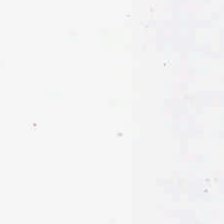Brightfield microscopy; hematoxylin-and-eosin stained section.
Finding — no tissue.
